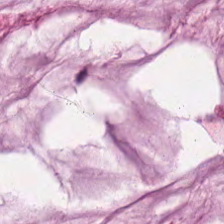H&E · 20× equivalent magnification. {"tissue_type": "mucin"}
